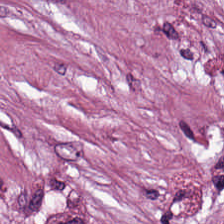Stain: H&E stain.
Resolution: 0.5 microns per pixel.
Tile size: 224×224 px patch.
Classification: cancer-associated stroma.
